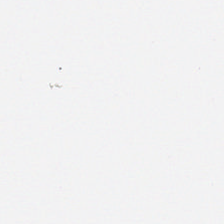H&E.
Background — no tissue in this field.
